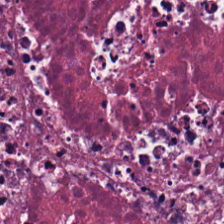H&E-stained tissue section. Q: What does this patch show?
A: This is cellular debris.
